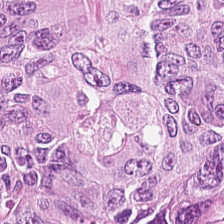H&E-stained tissue section; whole-slide-image patch; 0.5 microns per pixel — Tissue class — tumor epithelium.
